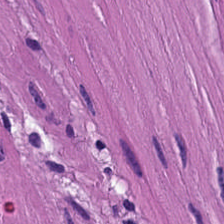H&E stain. 224×224 px tile. Histology — smooth-muscle tissue.
